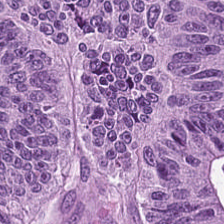Hematoxylin and eosin. FFPE.
Impression → colorectal adenocarcinoma epithelium.
